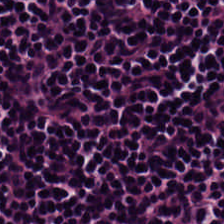Stain: H&E.
Classification: lymphoid infiltrate.
